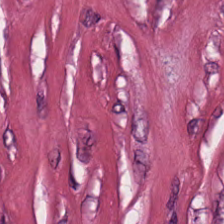H&E stain.
Tissue — cancer-associated stroma.
